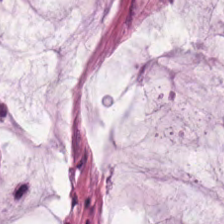FFPE tissue section; H&E-stained tissue section; 224×224 px patch.
The tissue here is extracellular mucin.
